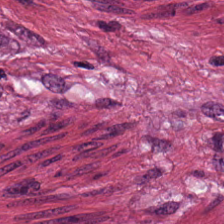Cancer-associated stroma.
